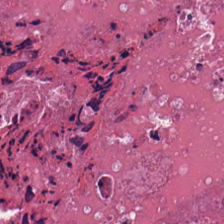WSI patch; hematoxylin and eosin; 224×224 px patch — The tissue is cellular debris.
